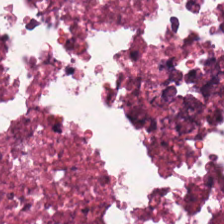Stain: hematoxylin and eosin.
Predominant tissue: necrotic debris.
